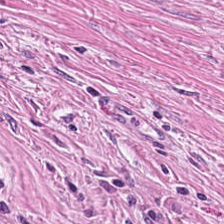0.5 microns per pixel; 224×224 px patch; H&E stain. Q: Identify the tissue.
A: Tumor-associated stroma.
